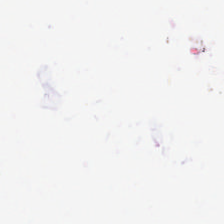H&E stain — Empty field — empty background.
